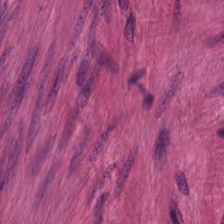Stain: H&E stain.
Tissue class: smooth-muscle tissue.
